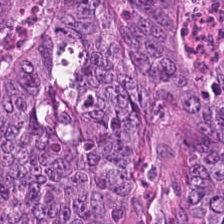Predominant tissue: tumor epithelium.
